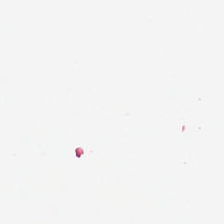Stain: hematoxylin-and-eosin stained section.
Content: no tissue.
